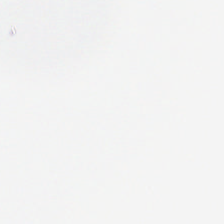H&E.
The content is background (no tissue).
